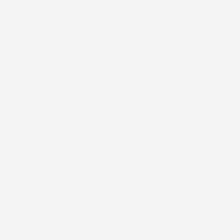H&E-stained tissue section · 224×224 pixel tile · 0.5 µm per pixel.
No tissue.
